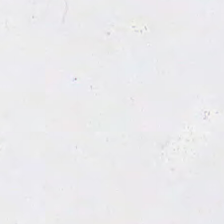Field content — background.
